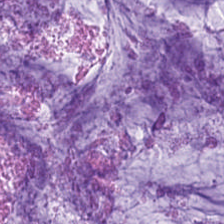{"tissue_type": "mucus"}
